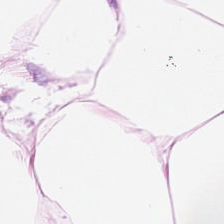H&E.
The predominant tissue is adipocytes.
